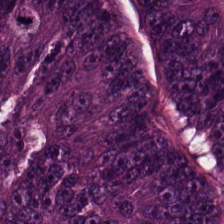Hematoxylin-and-eosin stained section. The tissue is adenocarcinoma.
